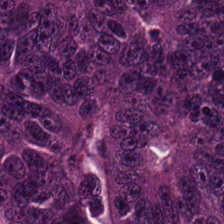{"tissue_type": "colorectal adenocarcinoma epithelium"}
